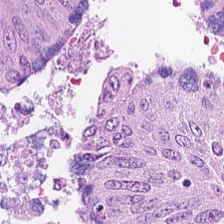0.5 µm/px; WSI patch; H&E.
Q: What is the predominant tissue type?
A: The field shows malignant epithelium.
